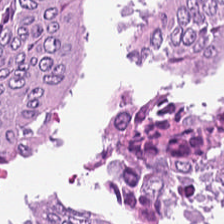Classification — adenocarcinoma.
